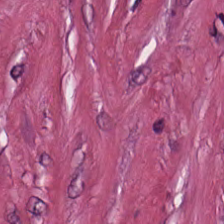Brightfield. Hematoxylin-and-eosin stained section.
The tissue here is desmoplastic stroma.
